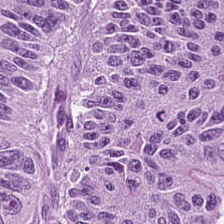224×224 px patch · H&E.
Q: Classify this patch.
A: This is colorectal adenocarcinoma.
